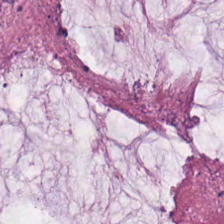H&E.
Q: What tissue is shown?
A: The field shows mucin.
